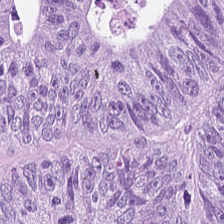This patch shows colorectal adenocarcinoma epithelium.
